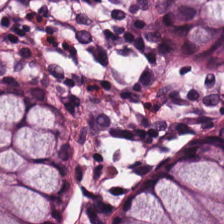Hematoxylin and eosin · brightfield · FFPE.
Q: What tissue type is shown here?
A: It is non-neoplastic colon mucosa.
